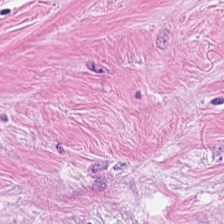H&E stain. Q: What tissue is shown?
A: It is tumor stroma.
